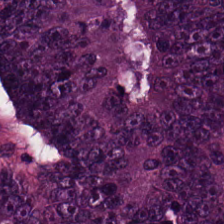Hematoxylin-and-eosin stained section · whole-slide-image patch.
The tissue class is colorectal adenocarcinoma.
